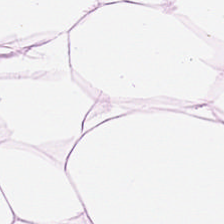Hematoxylin and eosin — Predominantly adipose tissue.
